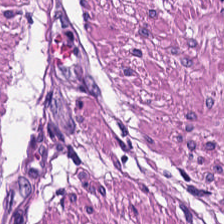H&E — smooth muscle.
